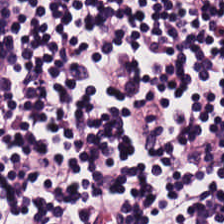H&E stain — The classification is lymphocytic infiltrate.
